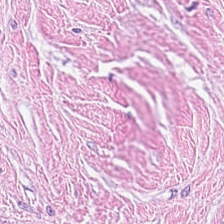H&E stain. Tissue type: desmoplastic stroma.
